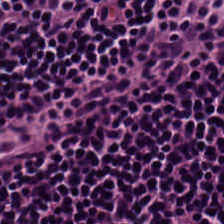Impression — lymphocytes.
